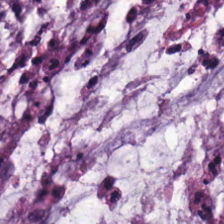Predominantly mucin.
